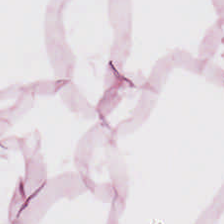Impression — adipocytes.
